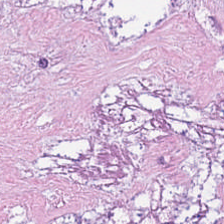Stain: hematoxylin-and-eosin stained section.
Tissue: cellular debris.
